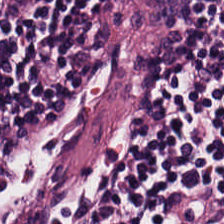224×224 pixel tile. Hematoxylin and eosin. 0.5 microns per pixel — Q: What is the predominant tissue type?
A: It is lymphocyte aggregate.
